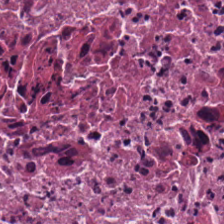Hematoxylin-and-eosin section: debris.
